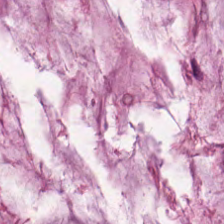H&E-stained tissue section — Q: What does this patch show?
A: The field shows mucin.
